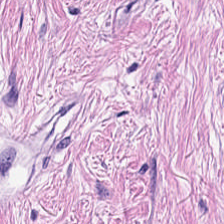Q: What does this patch show?
A: This is desmoplastic stroma.
